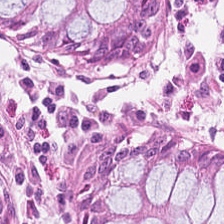Finding — benign colonic mucosa.
